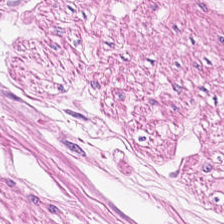Formalin-fixed paraffin-embedded section · H&E-stained tissue section · brightfield. Tissue type = muscularis.
